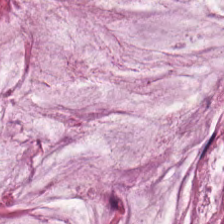Stain: H&E stain.
Preparation: FFPE.
Classification: mucus.
